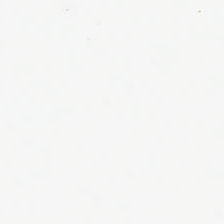Hematoxylin-and-eosin stained section; 224×224 px tile; whole-slide-image patch.
Empty background.
